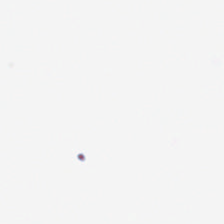This field is background (no tissue).
